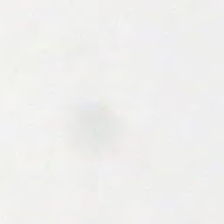This field is background (no tissue).
